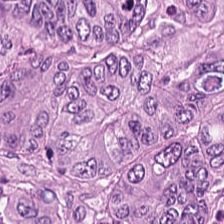H&E stain. 20× equivalent magnification.
{"tissue_type": "malignant epithelium"}
